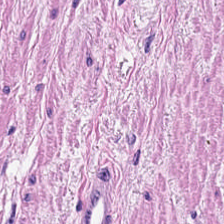Q: What tissue type is shown here?
A: The field shows smooth muscle.
